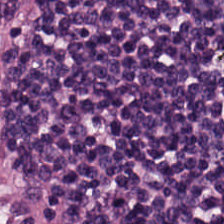Hematoxylin-and-eosin stained section — Q: What type of tissue is this?
A: The field shows lymphocyte aggregate.
